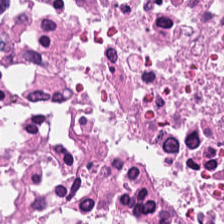Showing debris.
